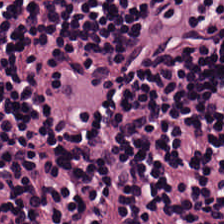H&E stain.
Predominantly lymphocytes.
